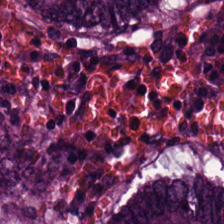H&E stain — Histology — colorectal adenocarcinoma epithelium.
